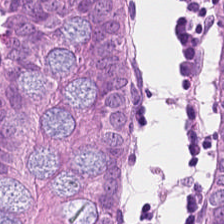H&E stain. Histology → benign colonic mucosa.
